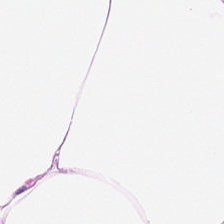Stain: H&E-stained tissue section.
Classification: adipocytes.
